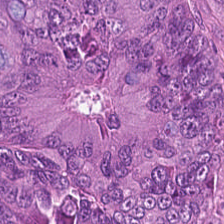Stain: hematoxylin and eosin.
Predominant tissue: colorectal adenocarcinoma epithelium.
